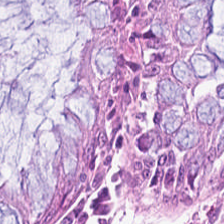This field is normal colonic mucosa.
